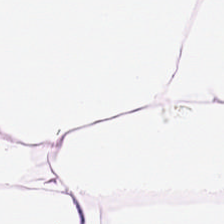224×224 px tile. H&E-stained tissue section. Formalin-fixed paraffin-embedded section — Adipose.
